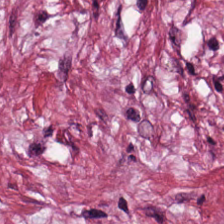0.5 microns per pixel. H&E-stained tissue section. 224×224 px patch — {"tissue_type": "tumor stroma"}
